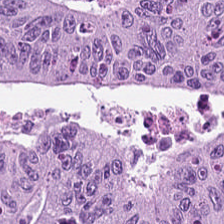FFPE tissue section. H&E. Tissue type = adenocarcinoma.
